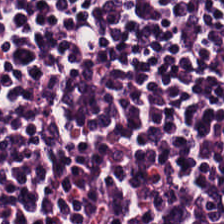Formalin-fixed paraffin-embedded section. H&E. 0.5 microns per pixel. The predominant tissue is lymphocyte aggregate.
